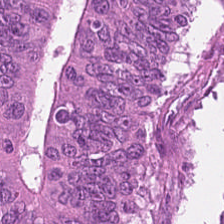H&E stain.
Tissue class — tumor epithelium.
